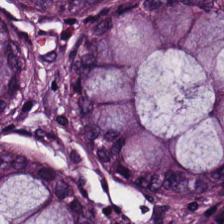Benign colonic mucosa.
